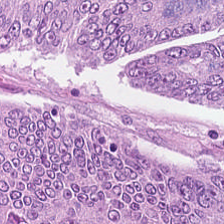H&E stain — This patch shows tumor epithelium.
